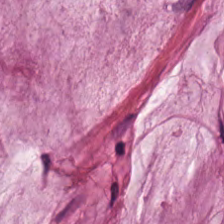H&E — Tissue type = mucin.
